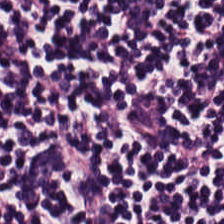Formalin-fixed paraffin-embedded section; 224×224 px tile; hematoxylin and eosin.
Lymphoid infiltrate.
